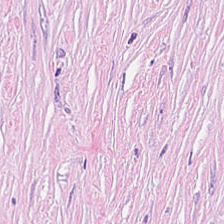Stain: hematoxylin and eosin.
Predominant tissue: tumor-associated stroma.
